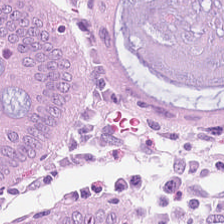Predominant tissue — non-neoplastic colon mucosa.
